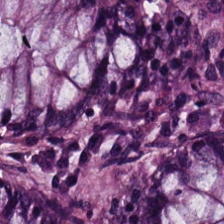Stain: H&E stain.
Resolution: 0.5 µm per pixel.
Predominant tissue: normal colon mucosa.
